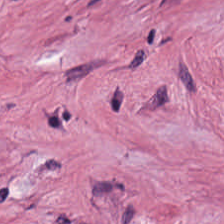H&E stain; brightfield microscopy. {"tissue_type": "tumor stroma"}
